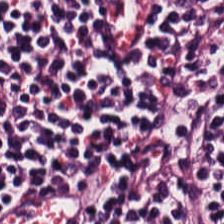Hematoxylin-and-eosin stained section — Histology → lymphocytic infiltrate.
